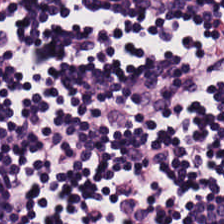H&E-stained tissue section · 0.5 µm per pixel · 224×224 px tile. The tissue is lymphocytes.
